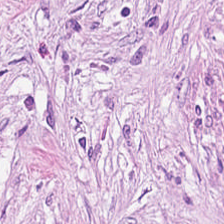0.5 µm/px; H&E-stained tissue section; brightfield. Tissue type — tumor-associated stroma.
